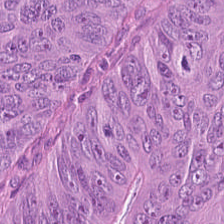224×224 px patch. H&E-stained tissue section. Predominantly tumor epithelium.
